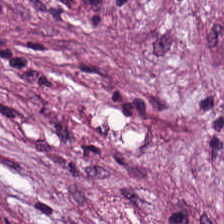Stain: H&E-stained tissue section.
Classification: cancer-associated stroma.
